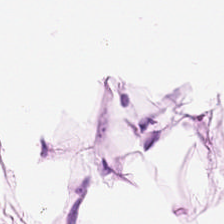Stain: hematoxylin-and-eosin stained section.
Preparation: FFPE tissue section.
Classification: adipose.
